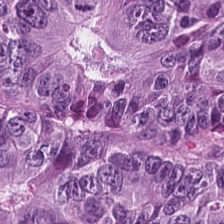224×224 px patch; hematoxylin and eosin; 0.5 µm/px — Histology — colorectal adenocarcinoma.
